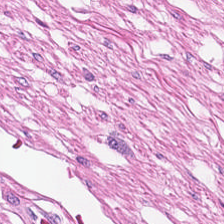H&E — The tissue here is smooth muscle.
